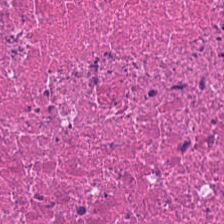224×224 px tile. H&E stain — Tissue type — debris.
